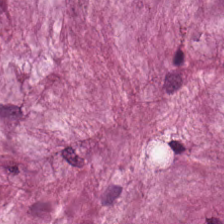H&E-stained tissue section.
The tissue class is extracellular mucin.
